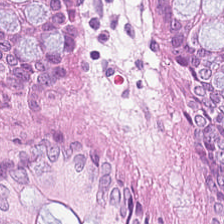H&E stain. Q: What is shown in this field?
A: It is non-neoplastic colon mucosa.
